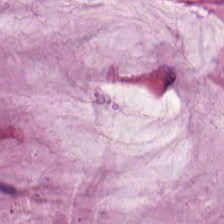Hematoxylin-and-eosin stained section · 0.5 µm/px — This field is extracellular mucin.
